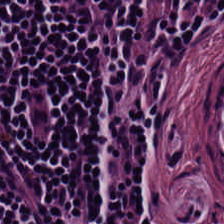Hematoxylin and eosin; 0.5 µm per pixel. Classification — lymphocyte aggregate.
